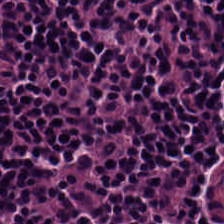0.5 µm/px; H&E stain — Classification = lymphocytic infiltrate.
